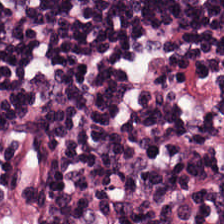Hematoxylin and eosin; 20× equivalent magnification. This patch shows lymphocytes.
